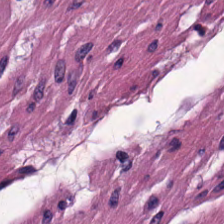0.5 µm/px · hematoxylin-and-eosin stained section · formalin-fixed paraffin-embedded section. This field is smooth-muscle tissue.
